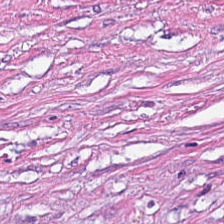Stain: hematoxylin and eosin.
Tissue: tumor-associated stroma.
